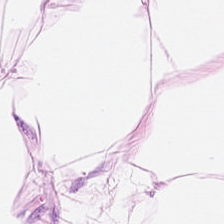Hematoxylin-and-eosin stained section. Brightfield.
Tissue type = fat tissue.
